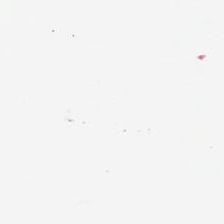Hematoxylin-and-eosin stained section.
The content is background (no tissue).
